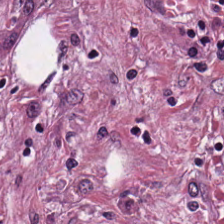Hematoxylin-and-eosin stained section · FFPE tissue section · 20× equivalent magnification.
Finding → tumor-associated stroma.
